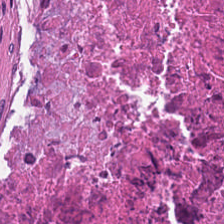224×224 px patch. H&E stain.
Tissue type: necrotic debris.
